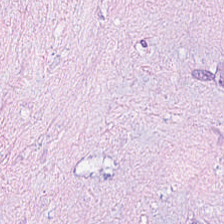Hematoxylin-and-eosin stained section.
The tissue here is tumor stroma.
